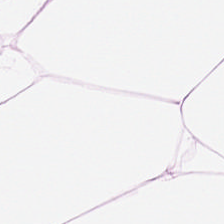H&E. Showing fat tissue.
